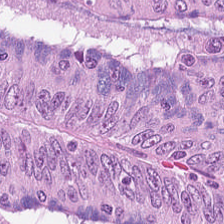H&E · 224×224 px patch · whole-slide-image patch — The predominant tissue is colorectal adenocarcinoma.
